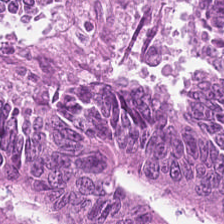Tissue type = tumor epithelium.
